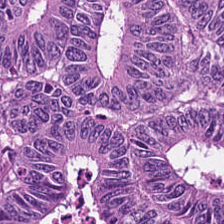H&E; whole-slide-image patch; 0.5 µm per pixel. Predominant tissue = adenocarcinoma.
